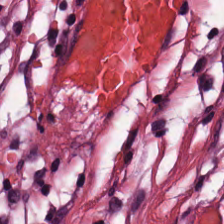H&E-stained tissue section; 20× equivalent magnification; FFPE — Finding → cancer-associated stroma.
